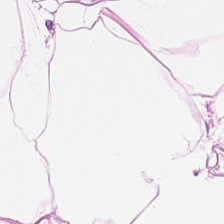Hematoxylin-and-eosin stained section.
The tissue is fat tissue.
